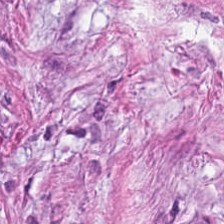H&E-stained tissue section. 224×224 pixel tile — Q: What tissue type is shown here?
A: The field shows desmoplastic stroma.
